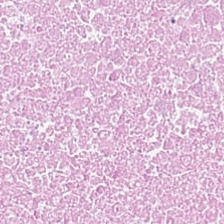Stain: hematoxylin-and-eosin stained section.
Tissue type: debris.
